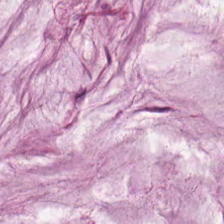H&E-stained tissue section showing mucin.
